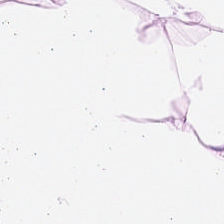Adipose tissue.
